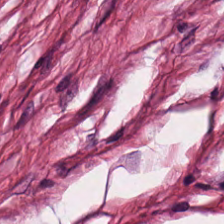Brightfield. H&E stain. 0.5 µm/px. Cancer-associated stroma.
